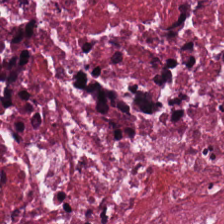Hematoxylin-and-eosin stained section — Classification = necrotic debris.
